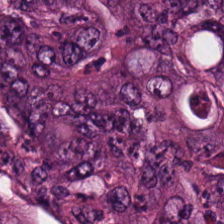H&E — malignant epithelium.
